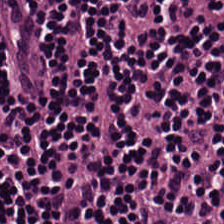Classification = lymphocyte aggregate.
